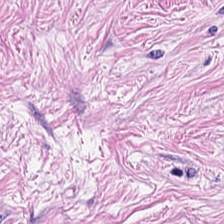H&E stain. Tissue type = cancer-associated stroma.
